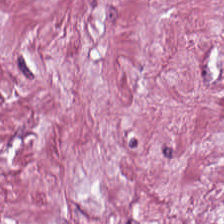H&E-stained tissue section · 224×224 px tile — The tissue type is tumor-associated stroma.
